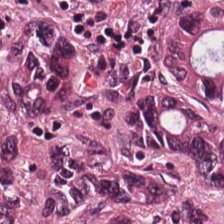Hematoxylin-and-eosin stained section; 0.5 µm/px.
Q: What is shown here?
A: It is colorectal adenocarcinoma epithelium.
